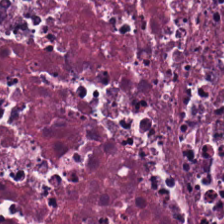H&E-stained tissue section · FFPE · 0.5 microns per pixel.
The classification is cellular debris.
